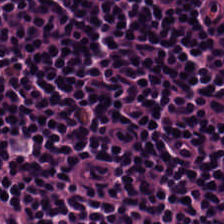Tissue class — lymphoid infiltrate.
